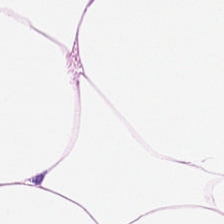Impression → adipose.
